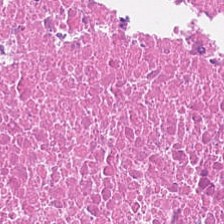Hematoxylin and eosin · FFPE · WSI patch.
Necrotic debris.
